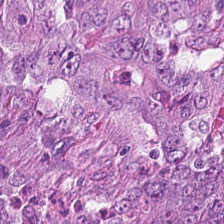This field is adenocarcinoma.
